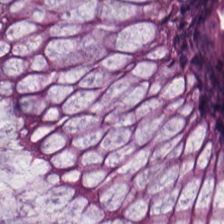The classification is normal colonic mucosa.
